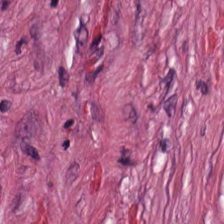H&E-stained tissue section. FFPE tissue section — Tissue type = tumor stroma.
